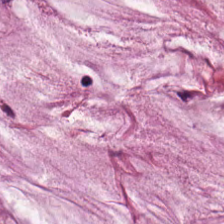H&E-stained section; the field shows mucus.
